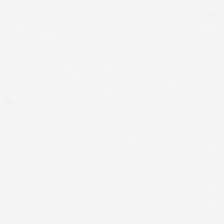Stain: H&E-stained tissue section.
Field content: background.
